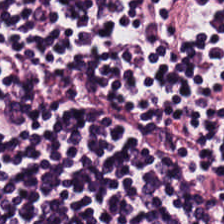H&E — lymphoid infiltrate.
